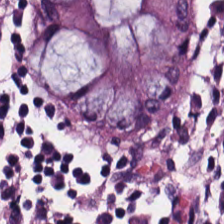H&E stain — The tissue here is benign colonic mucosa.
